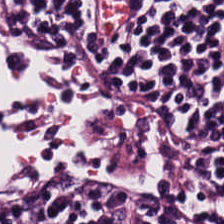H&E stain. 224×224 pixel tile. 0.5 µm per pixel. {"tissue_type": "lymphocyte aggregate"}
